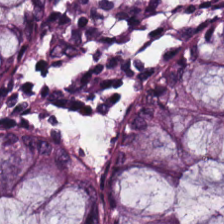H&E-stained tissue section — Histology — normal colonic mucosa.
